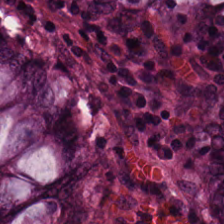The predominant tissue is benign colonic mucosa.
